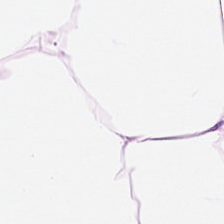Stain: H&E.
Resolution: 20× equivalent magnification.
Tissue class: adipose.
